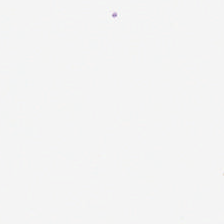224×224 pixel tile; hematoxylin and eosin — No tissue present; background only.
